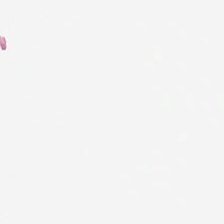FFPE tissue section · H&E · 224×224 px tile — Q: What is shown in this field?
A: This is background (no tissue).
